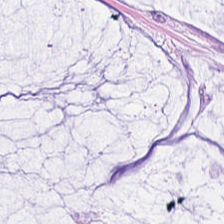H&E stain. 224×224 pixel tile. Showing extracellular mucin.
